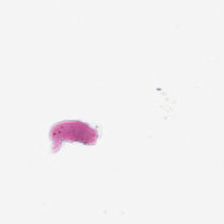Q: What is shown here?
A: The field shows background (no tissue).
